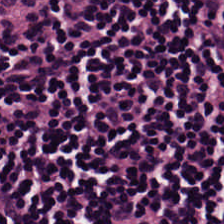Lymphocytic infiltrate.
